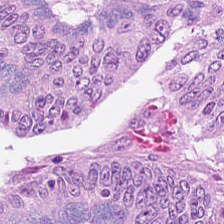H&E stain; FFPE. Q: What type of tissue is this?
A: This is adenocarcinoma.
